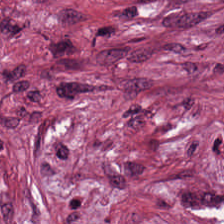H&E stain. 224×224 pixel tile. Formalin-fixed paraffin-embedded section.
Q: What tissue type is shown here?
A: The field shows tumor stroma.
